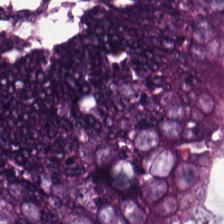Stain: H&E.
Tissue type: colorectal adenocarcinoma.
